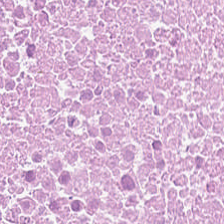Brightfield microscopy · hematoxylin and eosin. This patch shows cellular debris.
